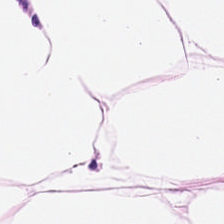Hematoxylin-and-eosin stained section — Tissue class — adipose.
